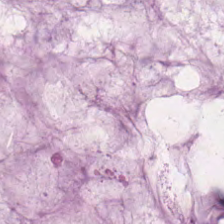Stain: hematoxylin-and-eosin stained section.
Preparation: formalin-fixed paraffin-embedded section.
Resolution: 0.5 microns per pixel.
Tissue: extracellular mucin.
